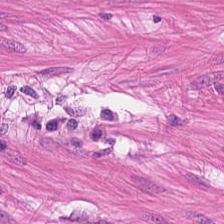FFPE tissue section. 0.5 microns per pixel. H&E stain.
This field is smooth-muscle tissue.
